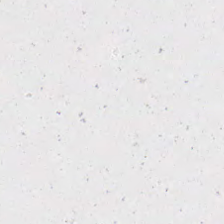H&E stain; formalin-fixed paraffin-embedded section; WSI patch — {"content": "background"}
